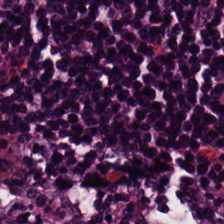Hematoxylin-and-eosin stained section — Q: What is shown here?
A: The field shows lymphocytic infiltrate.
